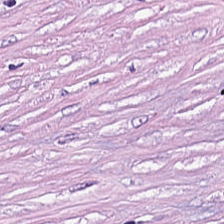Stain: H&E.
Tile size: 224×224 px patch.
Tissue: tumor-associated stroma.
